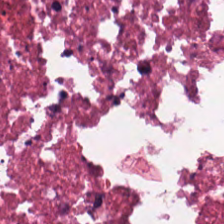Stain: H&E-stained tissue section.
Tissue type: debris.
